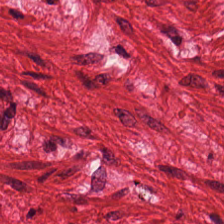Hematoxylin and eosin.
This field is smooth-muscle tissue.
